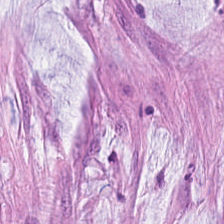H&E.
Showing mucin.
